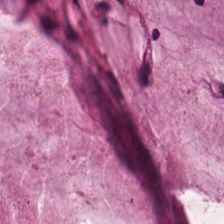H&E stain. 224×224 pixel tile — Histology → mucin.
